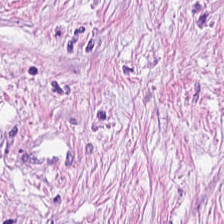H&E-stained tissue section — The classification is desmoplastic stroma.
